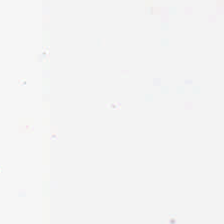Stain: H&E.
Tile size: 224×224 pixel tile.
Classification: background.
